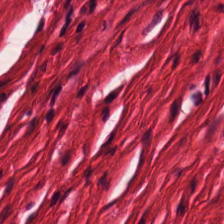Whole-slide-image patch · hematoxylin-and-eosin stained section · 224×224 pixel tile — Tissue: smooth muscle.
